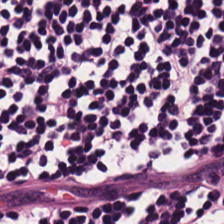H&E stain — Showing lymphocyte aggregate.
